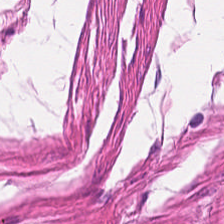H&E-stained tissue section. FFPE. Brightfield microscopy — {"tissue_type": "smooth muscle"}
